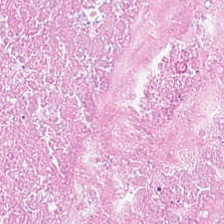224×224 pixel tile. H&E stain — The predominant tissue is cellular debris.
